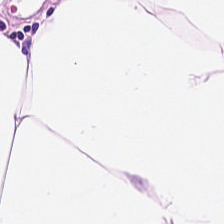The classification is fat tissue.
